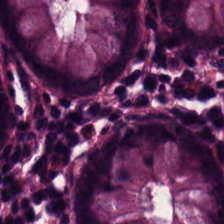20× equivalent magnification · H&E-stained tissue section.
Impression → normal colonic mucosa.
